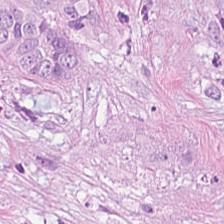H&E-stained tissue section.
Histology → adenocarcinoma.
